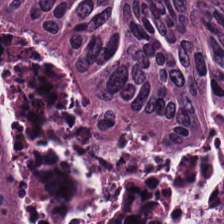H&E. Adenocarcinoma.
